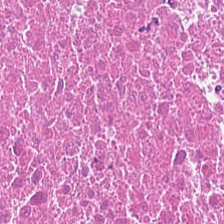H&E-stained tissue section; brightfield. Tissue type: necrotic debris.
